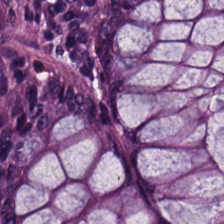Q: What is the predominant tissue type?
A: This is normal colonic mucosa.
